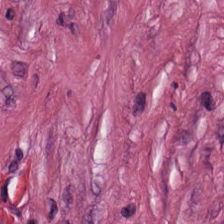Hematoxylin-and-eosin stained section.
This patch shows cancer-associated stroma.
